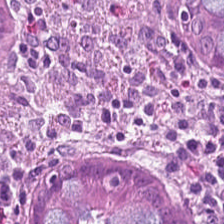Stain: hematoxylin and eosin.
Tissue: benign colonic mucosa.
